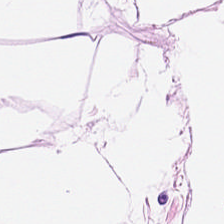Stain: H&E-stained tissue section.
Tissue class: adipose tissue.
